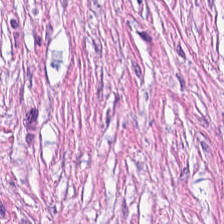H&E. Impression — desmoplastic stroma.
